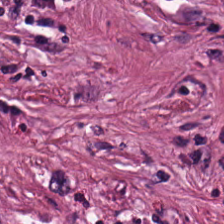Stain: hematoxylin and eosin.
Predominant tissue: tumor stroma.
